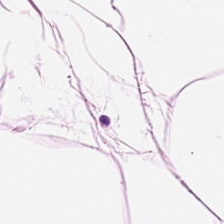H&E · 0.5 µm per pixel.
Showing adipose.
